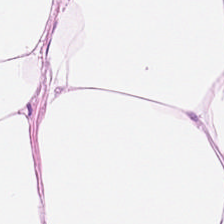Q: What is shown here?
A: This is fat tissue.
